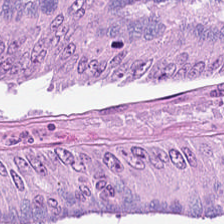FFPE. Hematoxylin-and-eosin stained section. The tissue type is malignant epithelium.
